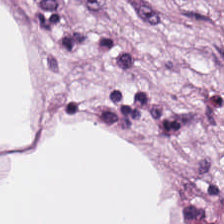The predominant tissue is adipose.
